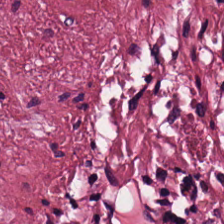The predominant tissue is tumor stroma.
